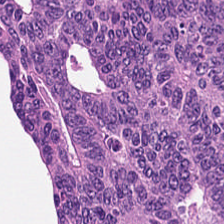Q: What does this patch show?
A: It is colorectal adenocarcinoma epithelium.
